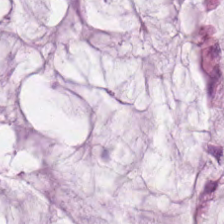H&E patch showing mucin.
